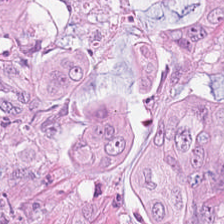Hematoxylin-and-eosin stained section. Impression — tumor epithelium.
